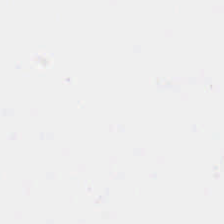Classification — background (no tissue).
